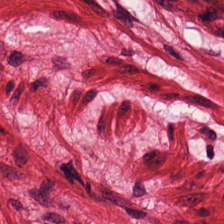H&E-stained tissue section. Impression → smooth-muscle tissue.
